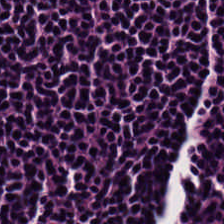This patch shows lymphocytic infiltrate.
